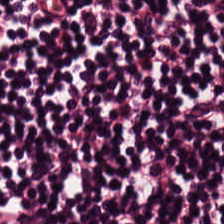224×224 px tile; brightfield microscopy; H&E-stained tissue section — This field is lymphoid infiltrate.
